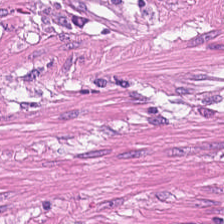H&E-stained tissue section. Tissue — muscularis.
